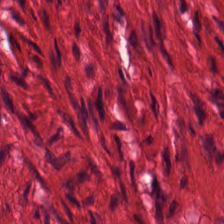Impression — muscularis.
